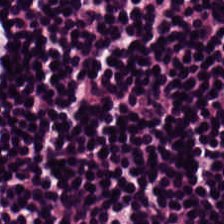Stain: H&E-stained tissue section.
Predominant tissue: lymphocyte aggregate.
